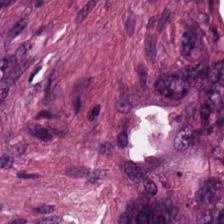FFPE tissue section; hematoxylin and eosin — The tissue here is colorectal adenocarcinoma epithelium.
